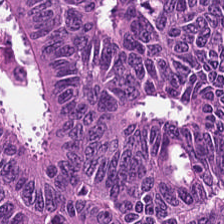Hematoxylin-and-eosin stained section — Histology — adenocarcinoma.
